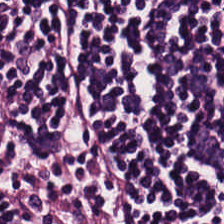H&E-stained tissue section showing lymphocyte aggregate.
